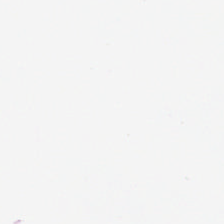Hematoxylin-and-eosin stained section — Q: What is shown in this field?
A: The field shows background (no tissue).
